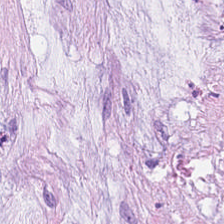FFPE tissue section · H&E stain · 0.5 µm per pixel.
{"tissue_type": "mucus"}
